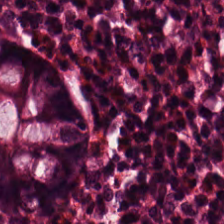Stain: H&E stain.
Tissue type: benign colonic mucosa.
